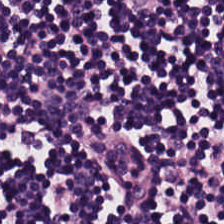Stain: H&E.
Tissue class: lymphocytes.
